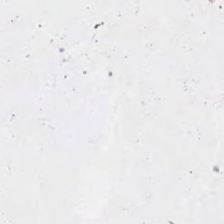H&E-stained tissue section.
Classification — background.
